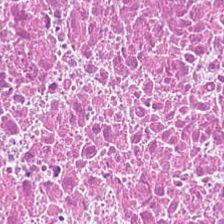Hematoxylin-and-eosin stained section. 20× equivalent magnification — {"tissue_type": "cellular debris"}
